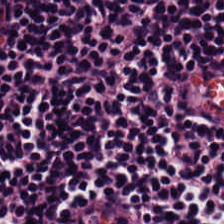Hematoxylin-and-eosin stained section; 224×224 pixel tile; whole-slide-image patch.
Classification: lymphocytic infiltrate.
